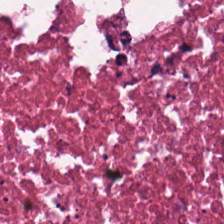H&E — {"tissue_type": "cellular debris"}
